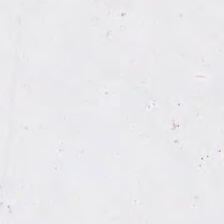Stain: H&E.
Field content: background.
